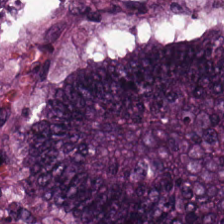Predominant tissue — colorectal adenocarcinoma.
